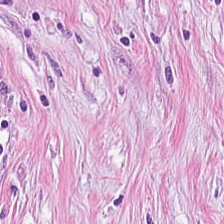Q: Identify the tissue.
A: It is tumor stroma.
